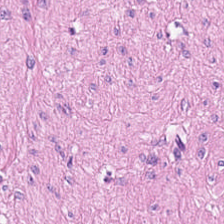Impression — smooth muscle.
